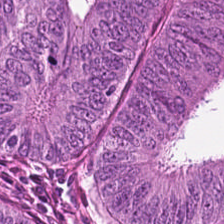H&E; whole-slide-image patch.
Finding → colorectal adenocarcinoma epithelium.
